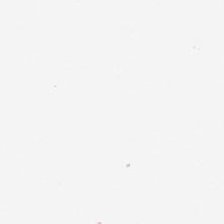H&E-stained tissue section.
This patch shows empty background.
